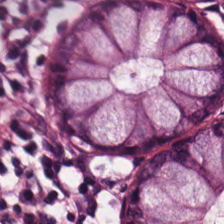H&E-stained tissue section.
Finding → normal colon mucosa.
